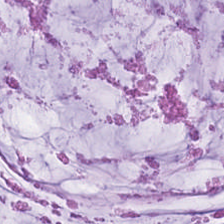Stain: H&E.
Tile size: 224×224 px tile.
Acquisition: brightfield.
Tissue type: mucin.
